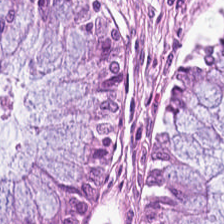0.5 microns per pixel; H&E-stained tissue section.
{"tissue_type": "benign colonic mucosa"}
